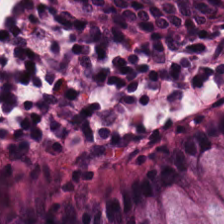Hematoxylin-and-eosin stained section. Q: What tissue is shown?
A: Benign colonic mucosa.
